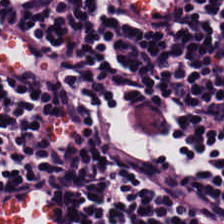Tissue type = lymphocyte aggregate.
